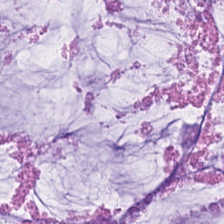Brightfield. H&E. Q: What does this patch show?
A: Mucus.
